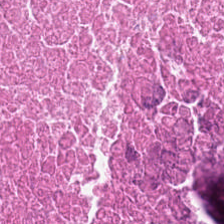Hematoxylin-and-eosin stained section — Histology → debris.
